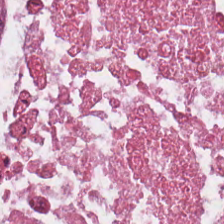H&E.
Impression — malignant epithelium.
